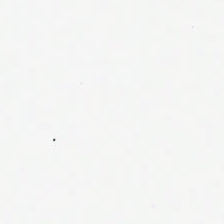H&E-stained tissue section. Whole-slide-image patch — {"content": "empty background"}
